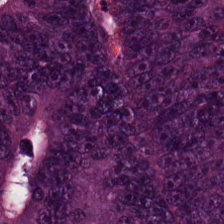Q: What is the predominant tissue type?
A: It is malignant epithelium.
